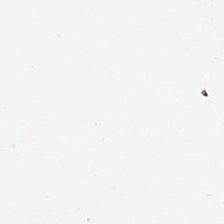Q: Classify this patch.
A: It is background (no tissue).
